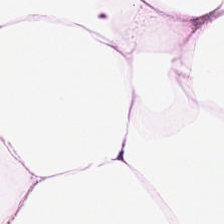WSI patch. H&E. Histology → fat tissue.
